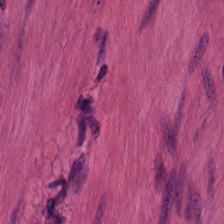Stain: hematoxylin-and-eosin stained section.
Tissue class: smooth-muscle tissue.
